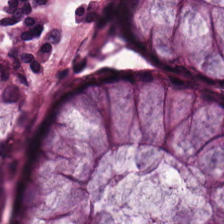H&E patch showing normal colonic mucosa.
